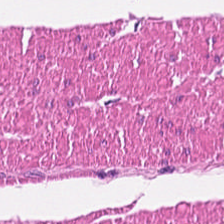H&E. Finding → muscularis.
